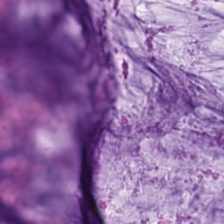H&E-stained tissue section — Q: What tissue is shown?
A: The field shows mucus.
